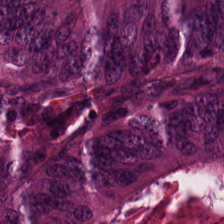0.5 µm/px · 224×224 px tile · H&E stain.
This patch shows malignant epithelium.
